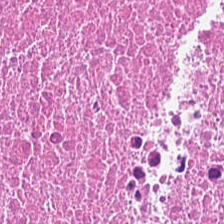H&E; 0.5 microns per pixel — Showing necrotic debris.
